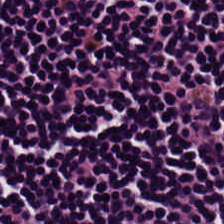Whole-slide-image patch · H&E-stained tissue section.
The predominant tissue is lymphocyte aggregate.
